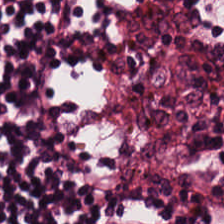Predominant tissue = lymphocytes.
